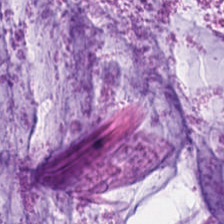H&E. Classification: extracellular mucin.
